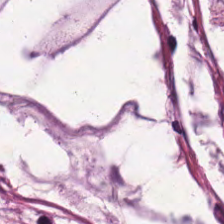224×224 pixel tile. H&E.
Classification = mucus.
